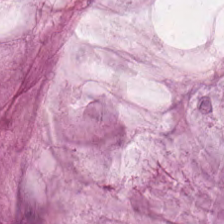H&E — extracellular mucin.
